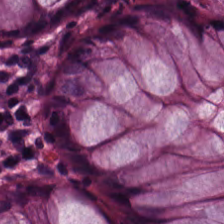Hematoxylin-and-eosin stained section. 0.5 microns per pixel. This patch shows non-neoplastic colon mucosa.
